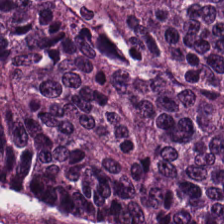Hematoxylin and eosin. Impression — colorectal adenocarcinoma epithelium.
